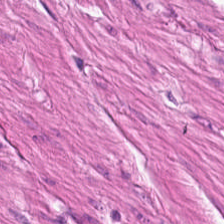Stain: hematoxylin-and-eosin stained section.
Preparation: FFPE.
Resolution: 0.5 µm per pixel.
Classification: smooth muscle.
